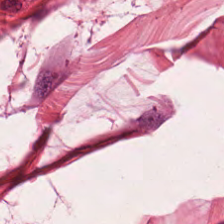H&E stain; brightfield microscopy. The predominant tissue is smooth muscle.
